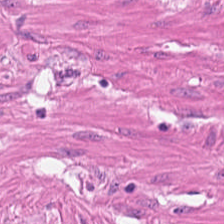H&E stain — Showing smooth muscle.
